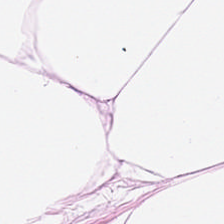H&E-stained tissue section.
{"tissue_type": "adipose"}
